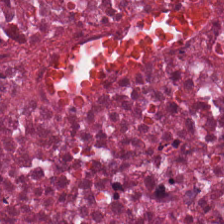H&E. 0.5 µm per pixel — Predominant tissue — cellular debris.
